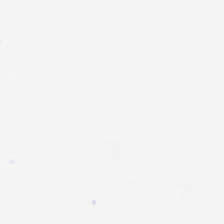H&E. Field content — no tissue.
